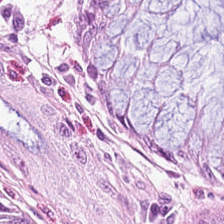Hematoxylin and eosin.
Showing normal colonic mucosa.
